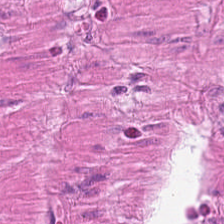Hematoxylin and eosin · WSI patch.
Tissue = smooth muscle.
